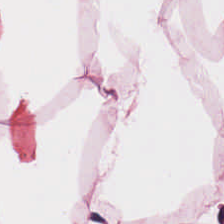H&E stain; 224×224 pixel tile.
{"tissue_type": "adipocytes"}
